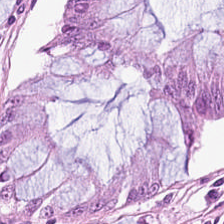Predominant tissue — normal colonic mucosa.
